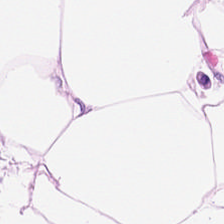Stain: hematoxylin and eosin.
Predominant tissue: adipose.
